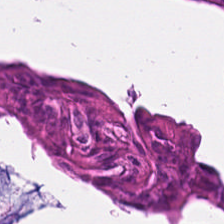H&E-stained tissue section — Tissue type — adenocarcinoma.
